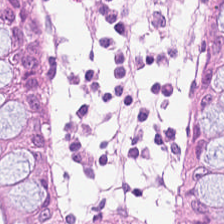0.5 microns per pixel. Hematoxylin-and-eosin stained section. WSI patch — Histology → normal colon mucosa.
